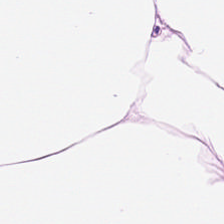H&E stain. The tissue type is adipose.
